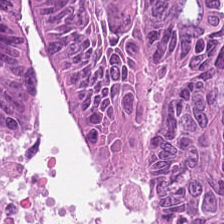H&E.
Finding → malignant epithelium.
